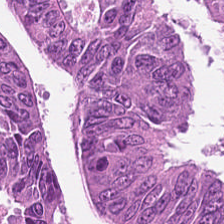H&E.
This patch shows colorectal adenocarcinoma.
